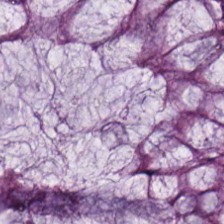H&E. 0.5 µm per pixel — Impression → non-neoplastic colon mucosa.
